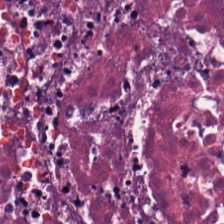H&E stain. Tissue class: cellular debris.
